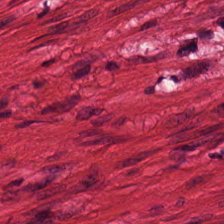Hematoxylin and eosin. Tissue type: smooth muscle.
